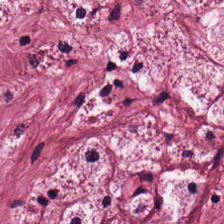This patch shows tumor-associated stroma.
